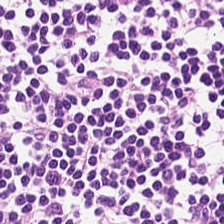H&E stain. Lymphocytic infiltrate.
